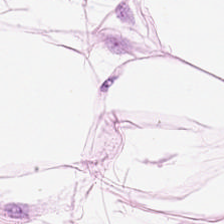0.5 µm per pixel · hematoxylin and eosin — The tissue is fat tissue.
